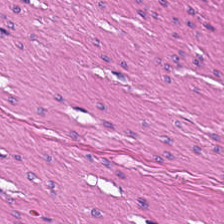0.5 microns per pixel. H&E-stained tissue section. Predominantly muscularis.
